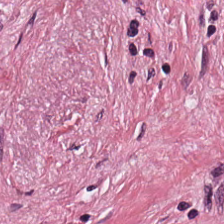0.5 microns per pixel. H&E stain. 224×224 px tile. The tissue class is cancer-associated stroma.
